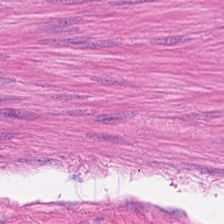Smooth muscle.
